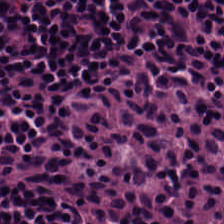Hematoxylin and eosin.
Impression → lymphocytic infiltrate.
